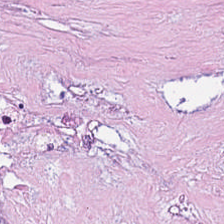Stain: H&E-stained tissue section.
Preparation: FFPE.
Resolution: 20× equivalent magnification.
Classification: cellular debris.
